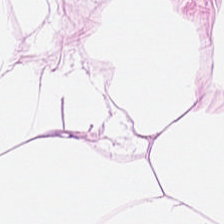H&E-stained tissue section. 224×224 px patch.
Finding → adipose tissue.
